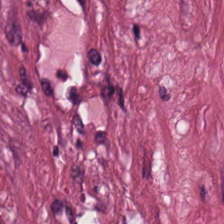Hematoxylin and eosin. Formalin-fixed paraffin-embedded section. 224×224 px tile — Classification — desmoplastic stroma.
